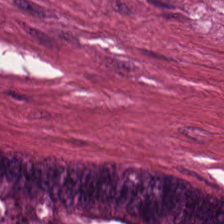Tissue class = malignant epithelium.
